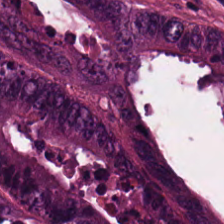Hematoxylin-and-eosin stained section. 224×224 px patch. Predominantly adenocarcinoma.
